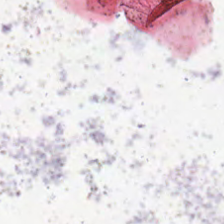Hematoxylin and eosin · 224×224 pixel tile · WSI patch. {"content": "no tissue"}
